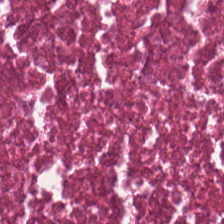Stain: hematoxylin-and-eosin stained section.
Tissue: necrotic debris.
